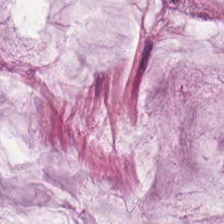H&E stain — Finding — extracellular mucin.
